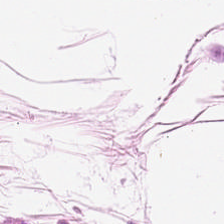H&E-stained tissue section — Impression → adipocytes.
